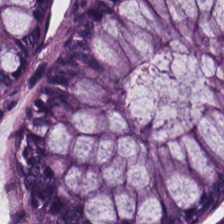Hematoxylin and eosin. 0.5 µm per pixel. FFPE — Q: What type of tissue is this?
A: Normal colonic mucosa.
